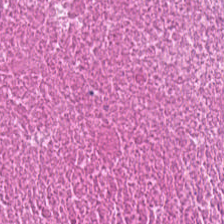Hematoxylin-and-eosin stained section — The tissue here is cellular debris.
